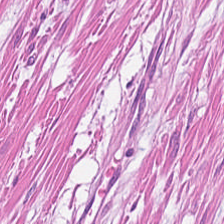Hematoxylin-and-eosin stained section.
The predominant tissue is smooth muscle.
